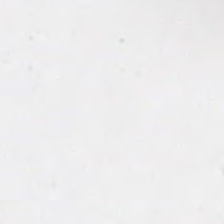Stain: hematoxylin and eosin.
Acquisition: whole-slide-image patch.
Classification: empty background.
